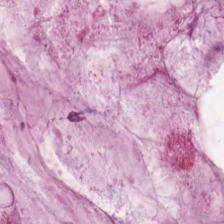H&E stain.
This field is extracellular mucin.
